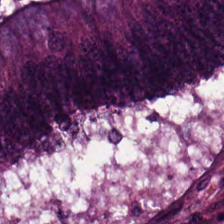H&E stain. The tissue here is colorectal adenocarcinoma.
